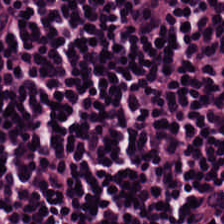Hematoxylin-and-eosin stained section; 224×224 px patch. Lymphocyte aggregate.
